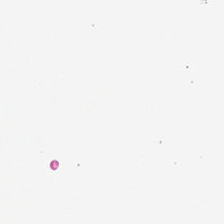Hematoxylin-and-eosin stained section · 224×224 px tile. Background — no tissue in this field.
